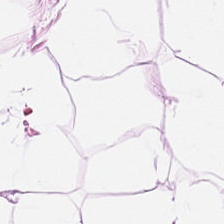Hematoxylin-and-eosin stained section.
The tissue type is fat tissue.
